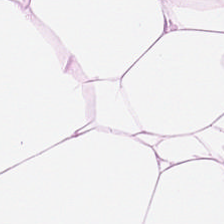Stain: hematoxylin-and-eosin stained section.
Predominant tissue: adipocytes.
